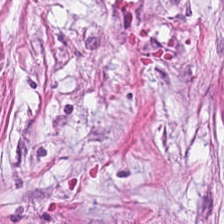H&E stain.
The tissue here is desmoplastic stroma.
